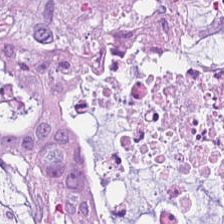Brightfield microscopy. H&E — Classification = extracellular mucin.
